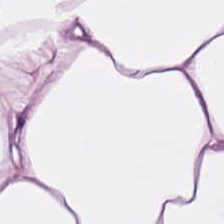0.5 microns per pixel; H&E — Impression — adipose.
